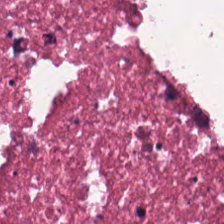224×224 px tile · hematoxylin-and-eosin stained section.
Showing cellular debris.
